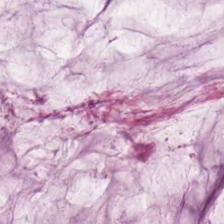H&E stain.
The tissue type is mucus.
